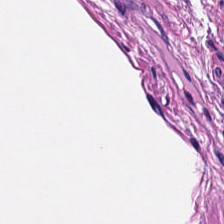224×224 px tile · H&E. Classification — muscularis.
